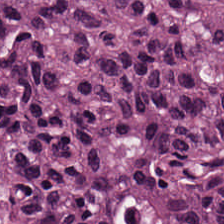H&E stain — Predominant tissue = colorectal adenocarcinoma.
